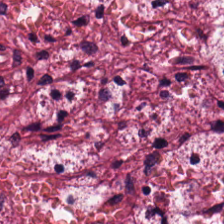Stain: hematoxylin and eosin.
Tissue class: desmoplastic stroma.
